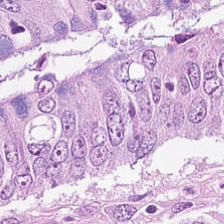Formalin-fixed paraffin-embedded section; H&E — Predominantly colorectal adenocarcinoma epithelium.
